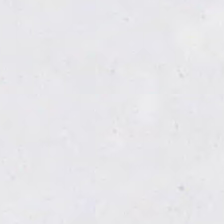Stain: hematoxylin-and-eosin stained section.
Preparation: formalin-fixed paraffin-embedded section.
Field content: empty background.
